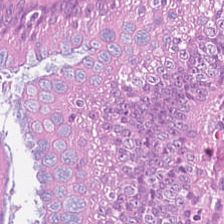H&E-stained tissue section.
The predominant tissue is malignant epithelium.
